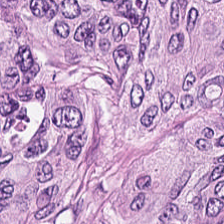224×224 px patch; 20× equivalent magnification; hematoxylin-and-eosin stained section — {"tissue_type": "adenocarcinoma"}
